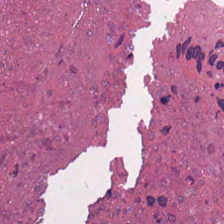Stain: H&E-stained tissue section.
Tissue: debris.
